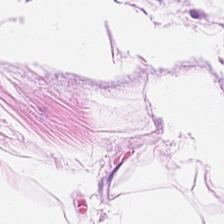H&E stain.
Q: What tissue is shown?
A: The field shows fat tissue.
